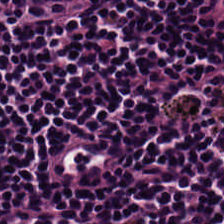H&E stain. Predominant tissue: lymphoid infiltrate.
